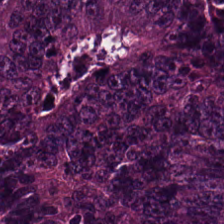H&E-stained tissue section — The tissue here is colorectal adenocarcinoma epithelium.
